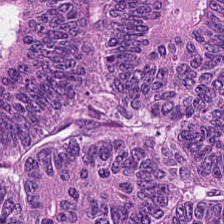H&E-stained tissue section. Q: What is shown here?
A: Tumor epithelium.
